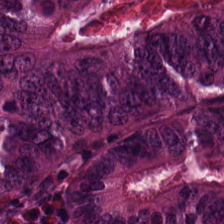H&E stain. FFPE — The tissue here is colorectal adenocarcinoma epithelium.
